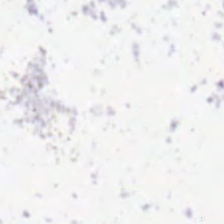Field content: no tissue.
